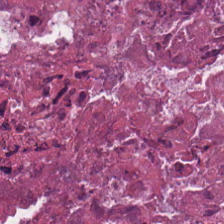H&E-stained tissue section.
This patch shows debris.
